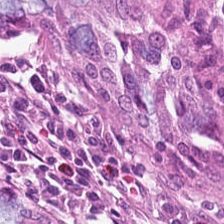Hematoxylin and eosin · FFPE · WSI patch.
This field is normal colonic mucosa.
